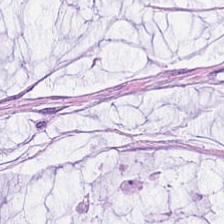224×224 pixel tile; hematoxylin and eosin. Q: What tissue type is shown here?
A: This is mucus.
